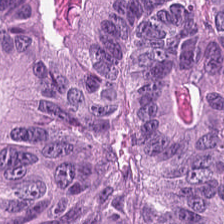224×224 pixel tile · H&E-stained tissue section — {"tissue_type": "tumor epithelium"}
